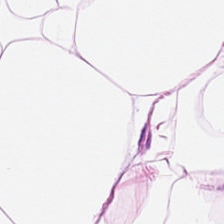H&E.
Q: What is the predominant tissue type?
A: Adipose tissue.
